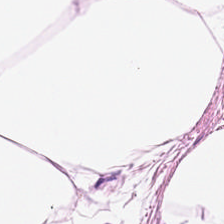Hematoxylin and eosin.
{"tissue_type": "adipose tissue"}
